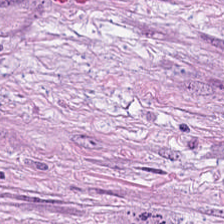Histology — tumor stroma.
